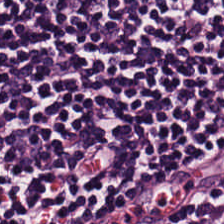Finding → lymphoid infiltrate.
